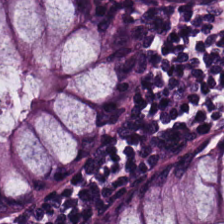FFPE · brightfield microscopy · hematoxylin-and-eosin stained section — Q: What is shown here?
A: It is normal colonic mucosa.
